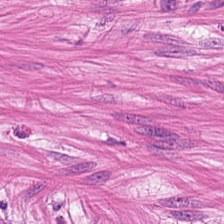Brightfield microscopy; H&E.
Showing smooth-muscle tissue.
